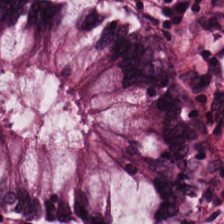0.5 µm/px; hematoxylin-and-eosin stained section.
Predominant tissue = non-neoplastic colon mucosa.
